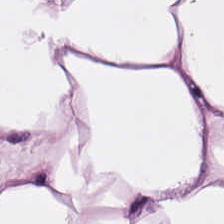Stain: H&E stain.
Tissue type: adipose.
